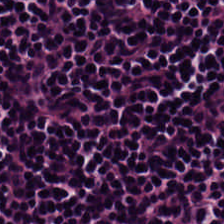FFPE tissue section; 224×224 px tile; H&E stain.
Classification: lymphocytic infiltrate.
